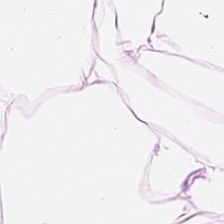Finding — fat tissue.
